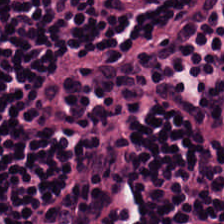H&E stain. Formalin-fixed paraffin-embedded section. 0.5 µm/px.
The predominant tissue is lymphocytes.
